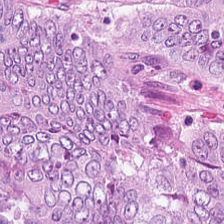H&E-stained tissue section — The tissue class is tumor epithelium.
